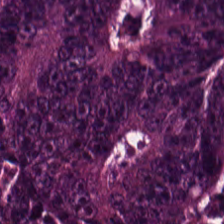Brightfield microscopy. H&E stain — Colorectal adenocarcinoma epithelium.
